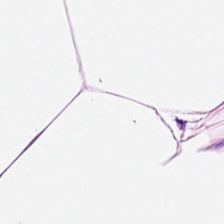Q: What tissue is shown?
A: The field shows fat tissue.
